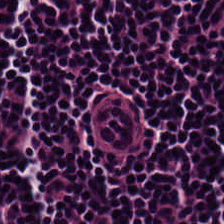Whole-slide-image patch. H&E-stained tissue section.
{"tissue_type": "lymphocytes"}
